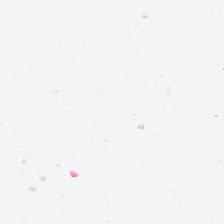H&E. Finding — background.
